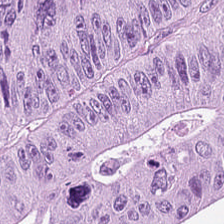20× equivalent magnification; H&E stain; brightfield. Predominantly tumor epithelium.
